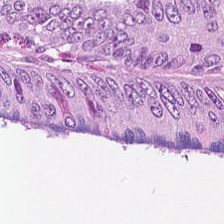Brightfield. 224×224 px patch. H&E stain — This field is colorectal adenocarcinoma epithelium.
